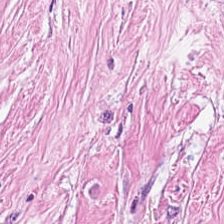H&E stain; 20× equivalent magnification. This field is tumor stroma.
